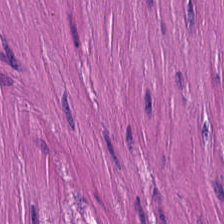Hematoxylin-and-eosin stained section. The classification is muscularis.
